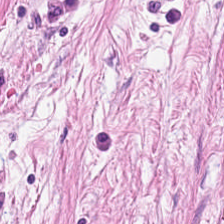Predominantly desmoplastic stroma.
